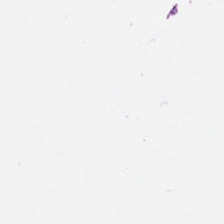This patch shows background (no tissue).
